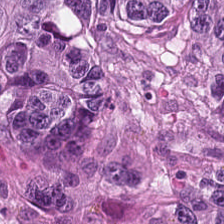Hematoxylin-and-eosin stained section. Tissue class: colorectal adenocarcinoma epithelium.
